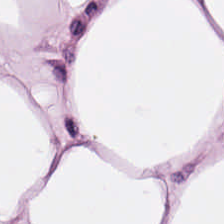H&E stain.
This field is adipocytes.
